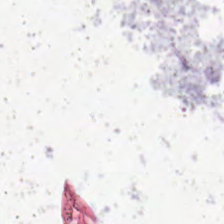Hematoxylin-and-eosin stained section. 224×224 px tile. 0.5 microns per pixel.
{"content": "no tissue"}
